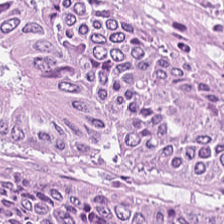Q: What tissue type is shown here?
A: This is tumor epithelium.
